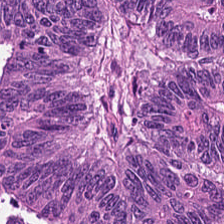Hematoxylin and eosin. Malignant epithelium.
